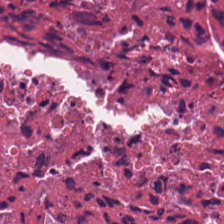H&E-stained tissue section · 224×224 px tile.
Tissue class: debris.
